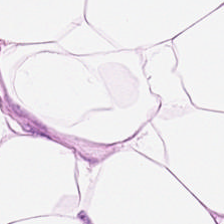Predominantly fat tissue.
